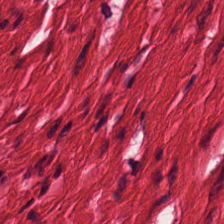This field is muscularis.
